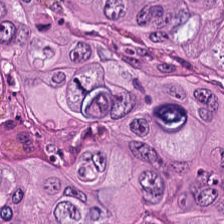Hematoxylin-and-eosin stained section.
Tissue class = colorectal adenocarcinoma epithelium.
